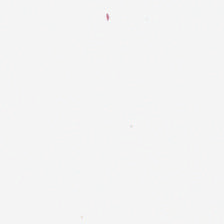H&E stain.
Finding → background.
